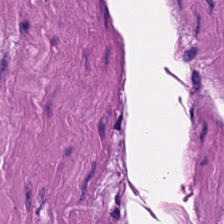This field is smooth-muscle tissue.
